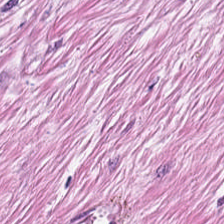Predominant tissue: cancer-associated stroma.
